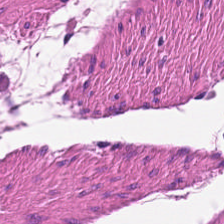0.5 microns per pixel · H&E stain — The tissue here is muscularis.
